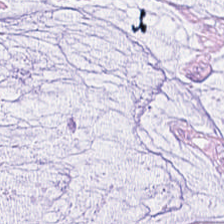The tissue here is mucin.
